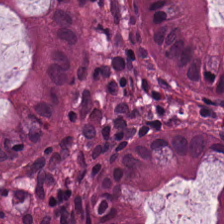Hematoxylin and eosin — Q: Identify the tissue.
A: Benign colonic mucosa.
